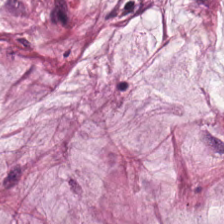Hematoxylin-and-eosin stained section. Finding — mucin.
